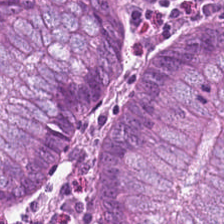Hematoxylin-and-eosin stained section. Showing non-neoplastic colon mucosa.
